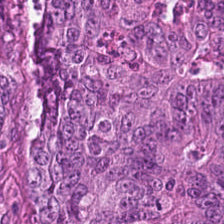H&E — Tumor epithelium.
